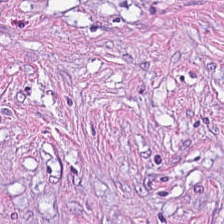Hematoxylin and eosin — Impression → cancer-associated stroma.
